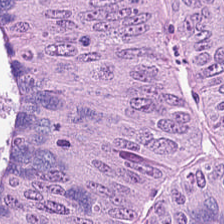This field is malignant epithelium.
